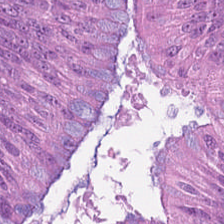H&E.
Q: What does this patch show?
A: Adenocarcinoma.
